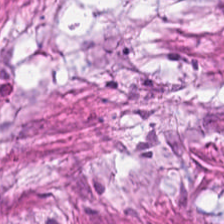H&E stain. FFPE tissue section.
The tissue is tumor stroma.
